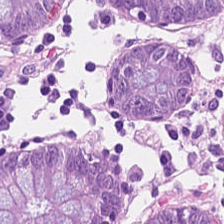Hematoxylin and eosin.
Tissue class: normal colon mucosa.
